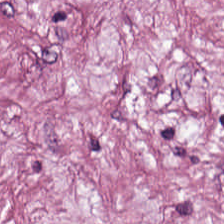H&E · 0.5 µm per pixel · FFPE tissue section. This field is desmoplastic stroma.
